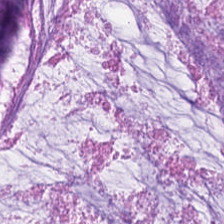The tissue class is extracellular mucin.
